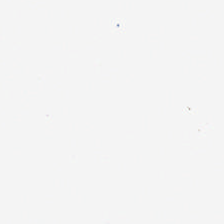Hematoxylin and eosin.
Classification: background.
